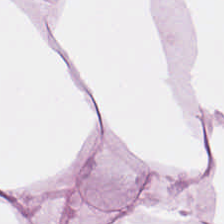H&E-stained tissue section — {"tissue_type": "fat tissue"}
